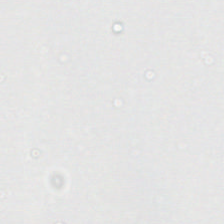0.5 microns per pixel · hematoxylin-and-eosin stained section. This field is background (no tissue).
